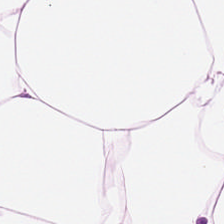Tissue type: fat tissue.
